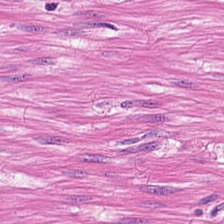H&E patch showing smooth muscle.
